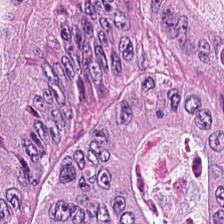0.5 µm/px. Whole-slide-image patch. H&E stain. The tissue here is malignant epithelium.
